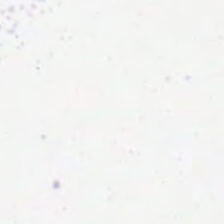Hematoxylin-and-eosin stained section — Field content — background.
